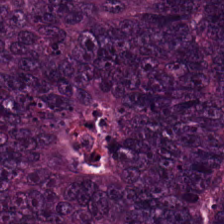224×224 px patch. H&E-stained tissue section — Showing malignant epithelium.
